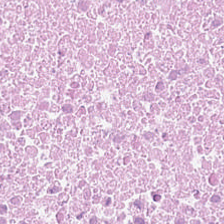Stain: hematoxylin and eosin.
Tissue class: debris.
